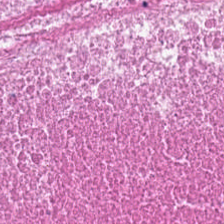Hematoxylin and eosin.
Finding — debris.
